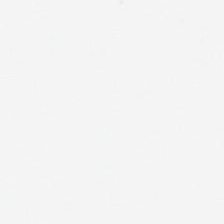H&E · FFPE · 0.5 microns per pixel.
{"content": "no tissue"}
